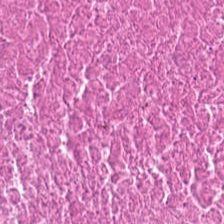H&E stain — Q: What does this patch show?
A: Debris.
